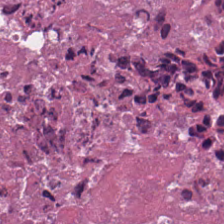Tissue type — necrotic debris.
